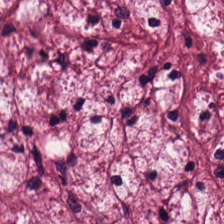Q: What tissue is shown?
A: Tumor stroma.
